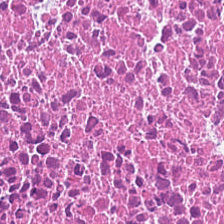Histology — cellular debris.
